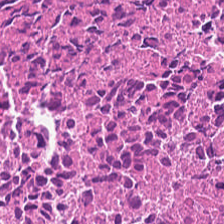224×224 pixel tile · H&E-stained tissue section.
Showing necrotic debris.
